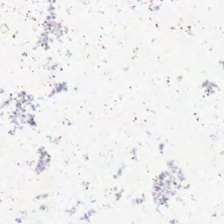Hematoxylin and eosin. This field is background (no tissue).
